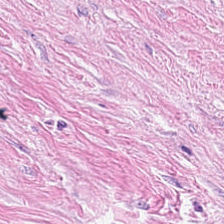H&E-stained tissue section — Tissue — tumor stroma.
